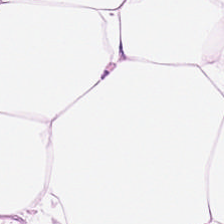FFPE; H&E stain. Q: What tissue type is shown here?
A: The field shows adipose tissue.
